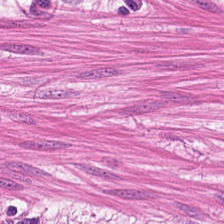Stain: hematoxylin and eosin.
Acquisition: brightfield microscopy.
Tissue class: smooth muscle.
